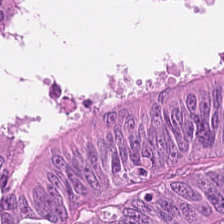H&E-stained tissue section — Predominantly malignant epithelium.
